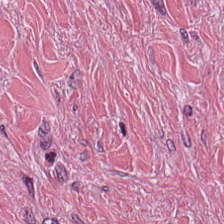H&E stain — The predominant tissue is tumor stroma.
